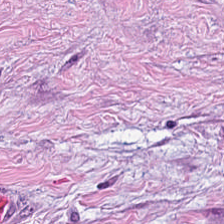Predominantly tumor stroma.
